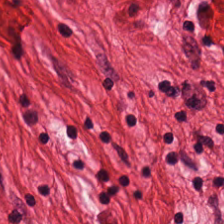H&E; FFPE; 224×224 pixel tile. Showing muscularis.
